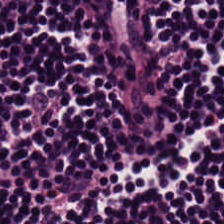Stain: hematoxylin-and-eosin stained section.
Predominant tissue: lymphocytes.
